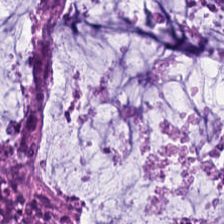H&E-stained tissue section.
This field is mucin.
